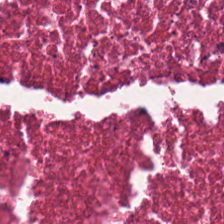H&E-stained tissue section. The tissue type is debris.
